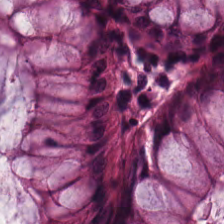H&E stain. Predominantly normal colon mucosa.
